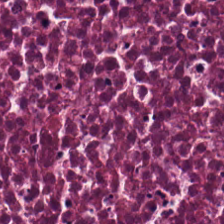Finding — cellular debris.
